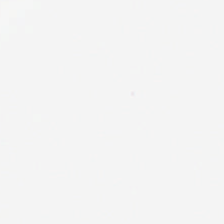The field content is background.
